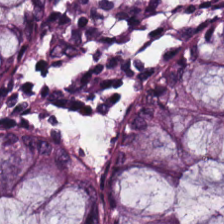H&E — normal colon mucosa.
